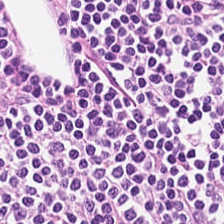H&E stain. {"tissue_type": "lymphocytic infiltrate"}
